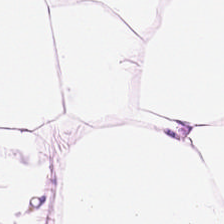Finding → adipocytes.
